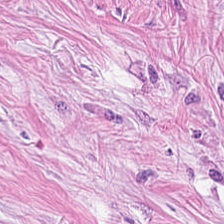Stain: hematoxylin-and-eosin stained section.
Tile size: 224×224 pixel tile.
Classification: tumor stroma.
